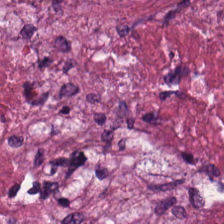Classification = necrotic debris.
